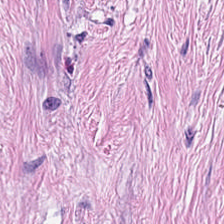H&E. Brightfield microscopy. 224×224 px tile.
Q: What type of tissue is this?
A: It is tumor-associated stroma.
